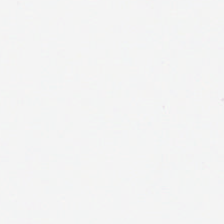H&E-stained tissue section. Empty field — background (no tissue).
